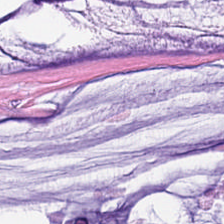H&E.
Tissue = extracellular mucin.
